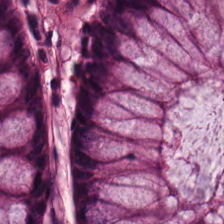H&E patch showing normal colon mucosa.
